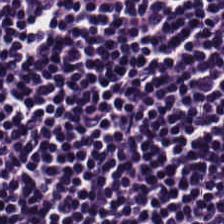Stain: hematoxylin-and-eosin stained section.
Classification: lymphocyte aggregate.
